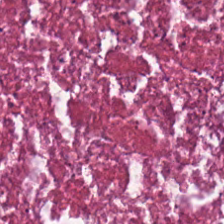H&E.
Tissue type = cellular debris.
